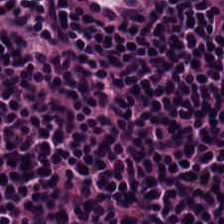Lymphocytes.
